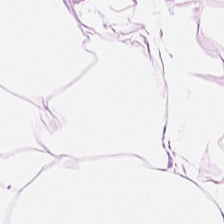FFPE · H&E stain.
Q: Classify this patch.
A: The field shows fat tissue.
